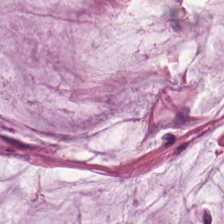WSI patch · H&E stain · 20× equivalent magnification. Mucin.
